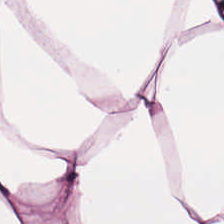Brightfield microscopy · H&E stain · formalin-fixed paraffin-embedded section. Q: What tissue is shown?
A: The field shows fat tissue.
